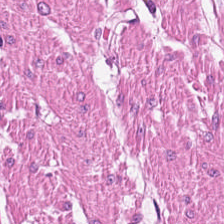Stain: hematoxylin-and-eosin stained section.
Classification: smooth-muscle tissue.
